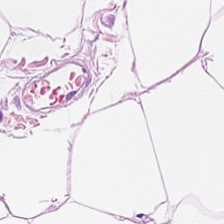Hematoxylin-and-eosin stained section — {"tissue_type": "adipose"}
